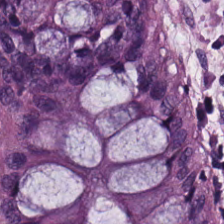H&E-stained tissue section — Q: What type of tissue is this?
A: The field shows non-neoplastic colon mucosa.
